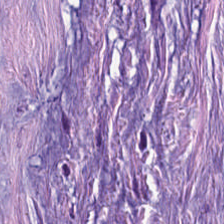WSI patch. Hematoxylin-and-eosin stained section.
Tumor-associated stroma.
